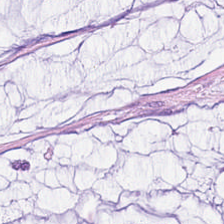Hematoxylin and eosin; whole-slide-image patch.
Impression → extracellular mucin.
